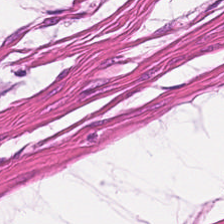H&E-stained tissue section. This patch shows muscularis.
